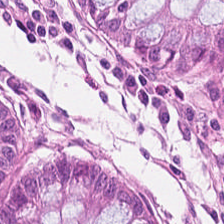FFPE tissue section. H&E stain. Tissue type: benign colonic mucosa.
